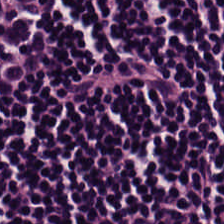H&E stain — Showing lymphocytes.
